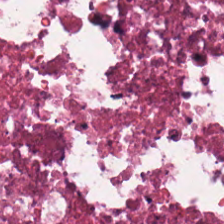0.5 µm per pixel. Hematoxylin and eosin.
This field is cellular debris.
